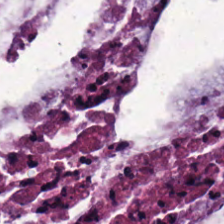Finding — mucin.
